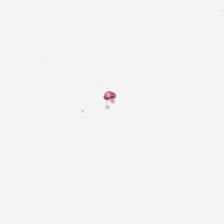Background — no tissue in this field.
